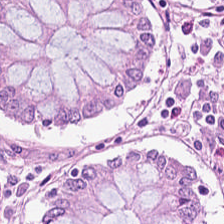H&E stain — Impression → non-neoplastic colon mucosa.
